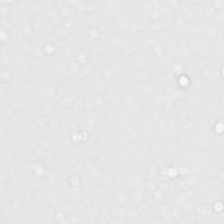The field content is background (no tissue).
